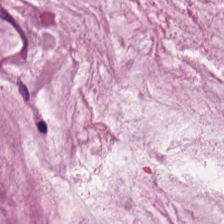H&E · WSI patch — Predominantly extracellular mucin.
